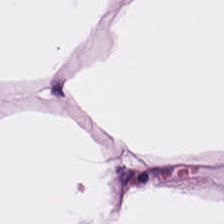224×224 px patch. Brightfield microscopy. H&E. Classification: adipocytes.
